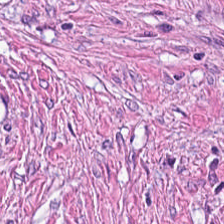Predominant tissue: desmoplastic stroma.
